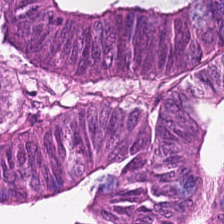H&E-stained tissue section. {"tissue_type": "tumor epithelium"}
